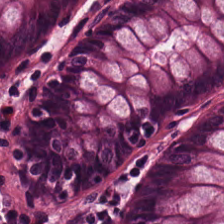H&E stain.
Predominant tissue = normal colon mucosa.
